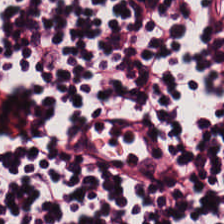H&E stain — Lymphocyte aggregate.
